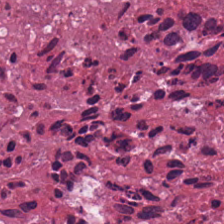224×224 pixel tile; hematoxylin and eosin.
Cellular debris.
